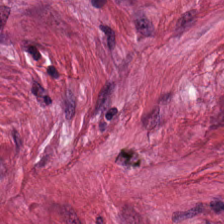H&E-stained tissue section — Q: What tissue type is shown here?
A: It is tumor stroma.
